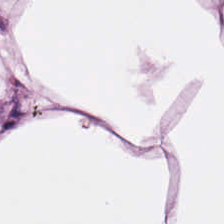Hematoxylin-and-eosin stained section — Tissue class — adipose.
